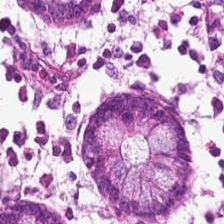Hematoxylin and eosin. This patch shows normal colonic mucosa.
